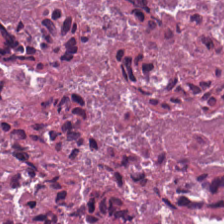H&E-stained tissue section. Classification: debris.
